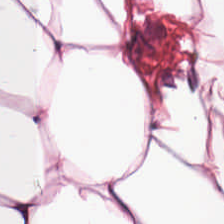Hematoxylin and eosin; 224×224 px tile — This field is adipocytes.
